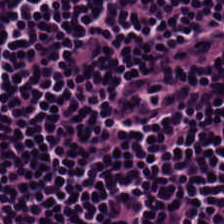{"tissue_type": "lymphoid infiltrate"}
